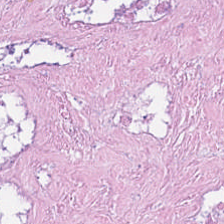224×224 pixel tile. Brightfield. H&E — Impression — cellular debris.
